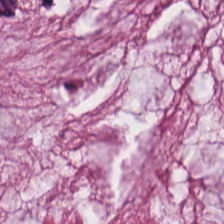Hematoxylin and eosin. Q: What is shown here?
A: The field shows extracellular mucin.
